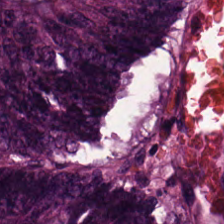Q: Classify this patch.
A: This is malignant epithelium.
